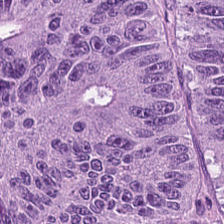Stain: hematoxylin and eosin.
Predominant tissue: colorectal adenocarcinoma epithelium.
